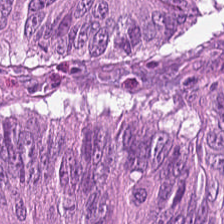Hematoxylin and eosin — The tissue class is colorectal adenocarcinoma.
